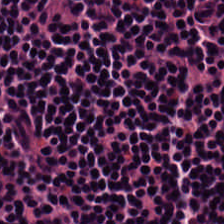H&E-stained tissue section; 224×224 px tile — This patch shows lymphocytic infiltrate.
